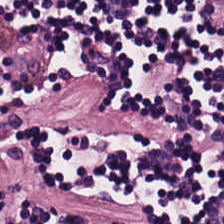H&E-stained tissue section — Q: Classify this patch.
A: Lymphocytes.
